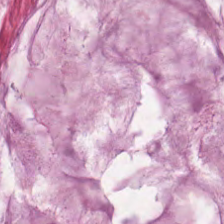Q: What tissue type is shown here?
A: Mucus.
